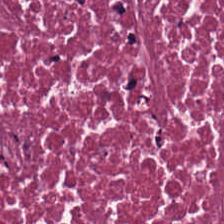Hematoxylin-and-eosin stained section. Formalin-fixed paraffin-embedded section. 0.5 microns per pixel. {"tissue_type": "debris"}
